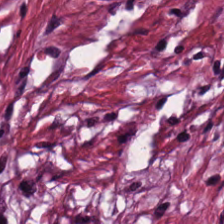H&E stain.
This patch shows desmoplastic stroma.
